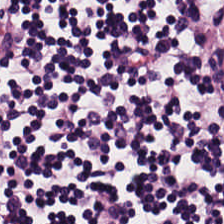Hematoxylin-and-eosin stained section.
Predominantly lymphocytic infiltrate.
